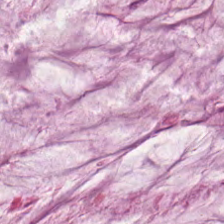H&E stain · brightfield · FFPE tissue section.
This field is mucus.
